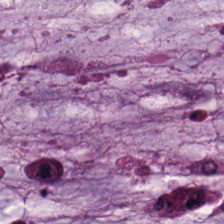H&E. The tissue here is mucus.
